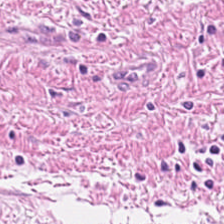Stain: hematoxylin and eosin.
Classification: muscularis.
